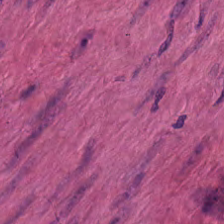Predominant tissue: smooth-muscle tissue.
